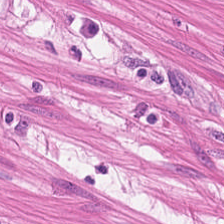WSI patch; H&E-stained tissue section — {"tissue_type": "smooth-muscle tissue"}
